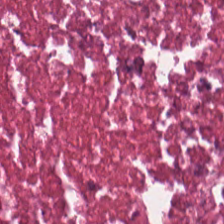Hematoxylin and eosin — Q: What type of tissue is this?
A: It is debris.
